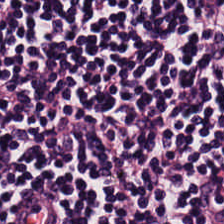Q: Identify the tissue.
A: This is lymphocytes.
